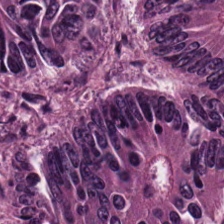H&E-stained tissue section; 224×224 px tile.
Classification = colorectal adenocarcinoma epithelium.
